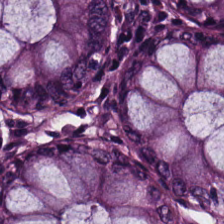H&E — Normal colon mucosa.
